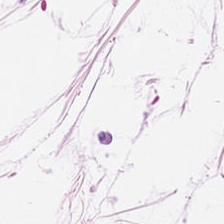H&E. FFPE tissue section — Predominant tissue — adipocytes.
